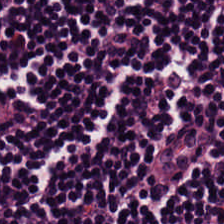H&E stain; brightfield — Q: What does this patch show?
A: Lymphocytic infiltrate.
